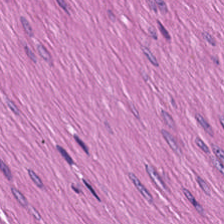Hematoxylin and eosin · 224×224 px patch — Predominantly smooth-muscle tissue.
